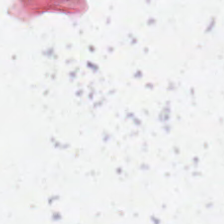Stain: hematoxylin and eosin.
Content: background (no tissue).
